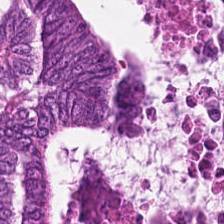H&E-stained tissue section — Showing colorectal adenocarcinoma epithelium.
